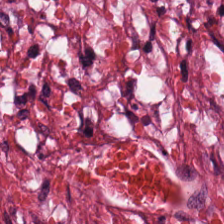Stain: hematoxylin-and-eosin stained section.
Tissue: tumor-associated stroma.
